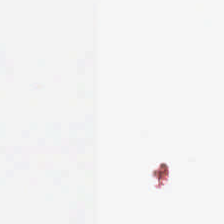WSI patch; H&E stain.
Classification: empty background.
